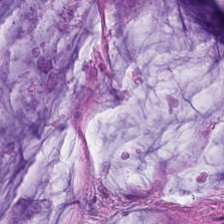H&E stain — This patch shows mucin.
